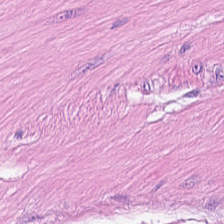Predominantly muscularis.
